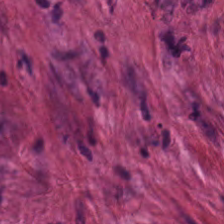H&E stain — Showing cancer-associated stroma.
